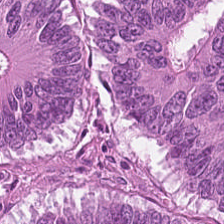H&E. The predominant tissue is colorectal adenocarcinoma epithelium.
